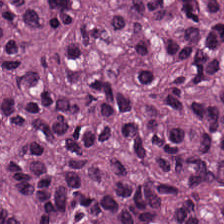Hematoxylin-and-eosin stained section.
Showing colorectal adenocarcinoma epithelium.
